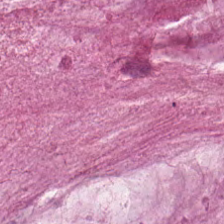Hematoxylin-and-eosin stained section.
Q: What does this patch show?
A: It is mucus.
